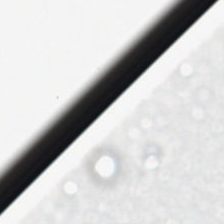Classification = empty background.
